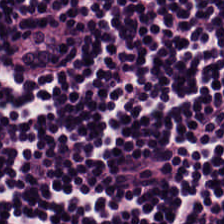H&E-stained tissue section. FFPE tissue section. Impression — lymphocytes.
